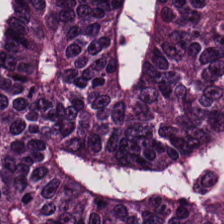This patch shows colorectal adenocarcinoma epithelium.
